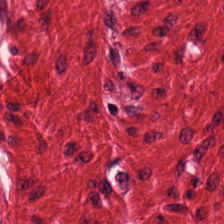H&E stain.
Classification — muscularis.
